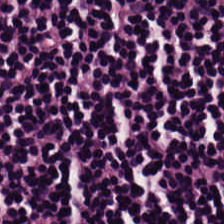Stain: H&E-stained tissue section.
Preparation: FFPE.
Tile size: 224×224 px tile.
Tissue: lymphocyte aggregate.
